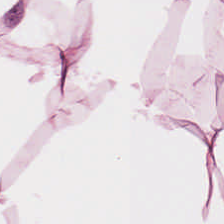Hematoxylin-and-eosin stained section. Impression — adipose tissue.
